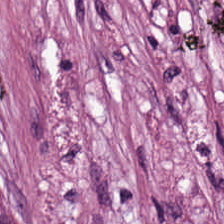H&E-stained section; the field shows desmoplastic stroma.
